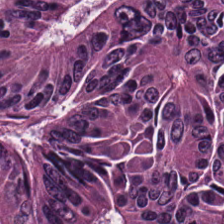H&E-stained tissue section · 224×224 px tile. The tissue class is malignant epithelium.
